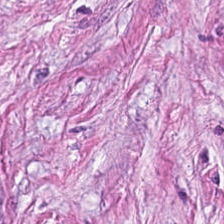H&E-stained tissue section.
Tissue type = tumor stroma.
